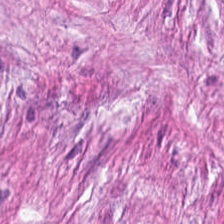FFPE; 224×224 px patch; H&E — The tissue class is tumor-associated stroma.
